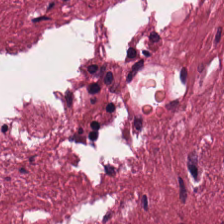H&E; FFPE tissue section.
The predominant tissue is desmoplastic stroma.
